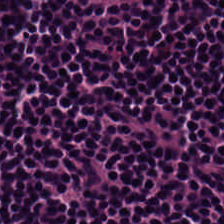Stain: H&E stain.
Classification: lymphocytes.
